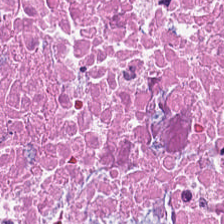H&E stain; 0.5 µm/px. This field is cellular debris.
